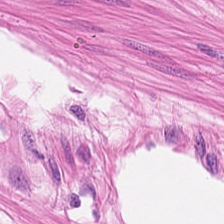Tissue type = smooth muscle.
